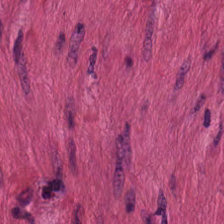Hematoxylin-and-eosin stained section. WSI patch — Smooth-muscle tissue.
